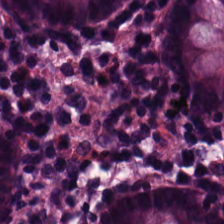Hematoxylin and eosin · 0.5 µm/px · FFPE tissue section — Non-neoplastic colon mucosa.
